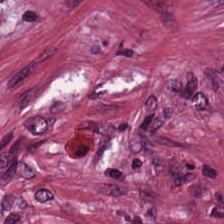Hematoxylin-and-eosin stained section. Brightfield microscopy. Formalin-fixed paraffin-embedded section. The tissue type is tumor stroma.
